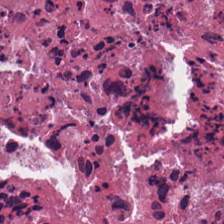H&E — {"tissue_type": "necrotic debris"}
